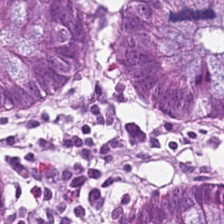Hematoxylin-and-eosin stained section · WSI patch — Classification = benign colonic mucosa.
